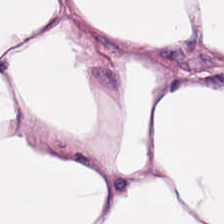Classification = adipocytes.
